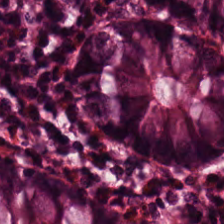Hematoxylin and eosin; 0.5 µm per pixel — Finding → non-neoplastic colon mucosa.
